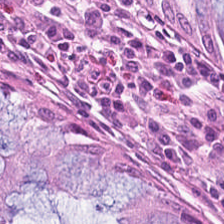Stain: H&E.
Acquisition: WSI patch.
Tissue: normal colonic mucosa.
